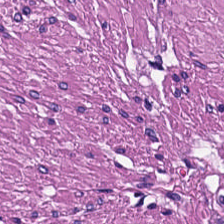H&E — Tissue class = smooth muscle.
